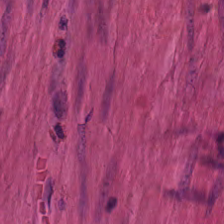Tissue — smooth muscle.
